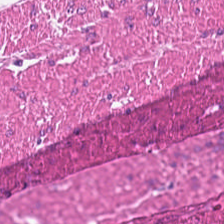Hematoxylin-and-eosin stained section. Classification = smooth muscle.
